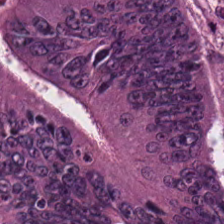H&E stain · FFPE tissue section.
{"tissue_type": "colorectal adenocarcinoma"}
